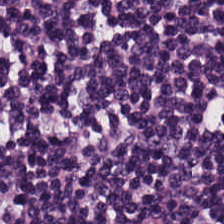Histology → lymphocytic infiltrate.
